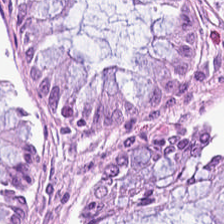The predominant tissue is normal colonic mucosa.
